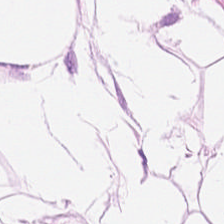Hematoxylin and eosin — Predominant tissue = adipocytes.
